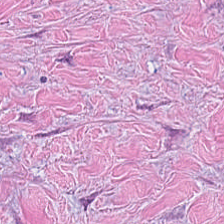Finding — tumor-associated stroma.
